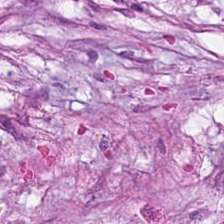FFPE; hematoxylin and eosin. This patch shows tumor stroma.
